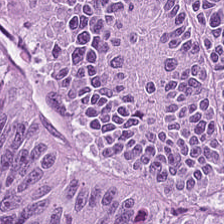H&E-stained section; the field shows colorectal adenocarcinoma.
